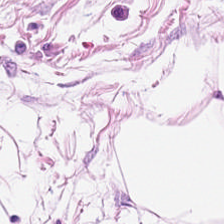Hematoxylin-and-eosin stained section; 20× equivalent magnification — {"tissue_type": "adipose tissue"}
